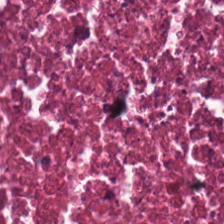Brightfield · H&E stain · 0.5 µm/px. The tissue here is debris.
